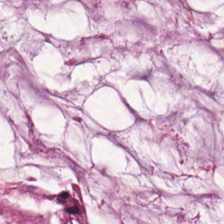Stain: H&E stain.
Tissue class: mucus.
